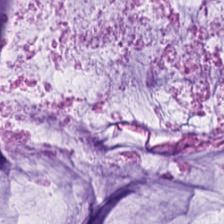224×224 px tile; hematoxylin and eosin. The predominant tissue is extracellular mucin.
